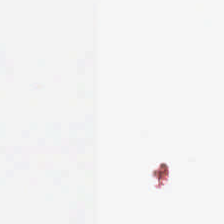Brightfield; H&E.
No tissue present; background only.
